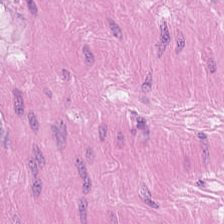H&E. Impression — smooth muscle.
